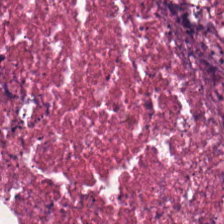Q: What is shown in this field?
A: It is necrotic debris.
